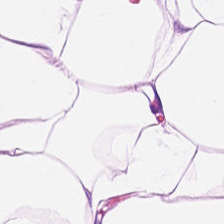H&E — adipocytes.
